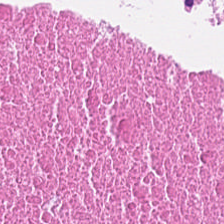H&E-stained tissue section. This patch shows cellular debris.
